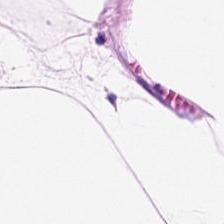Q: What tissue is shown?
A: The field shows fat tissue.
